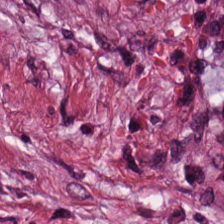Q: What tissue is shown?
A: The field shows tumor stroma.
